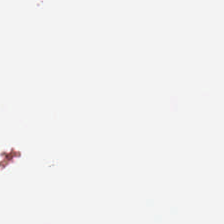No tissue.
